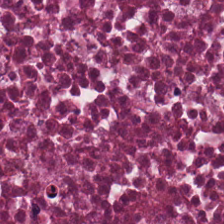H&E-stained tissue section.
Tissue type = debris.
